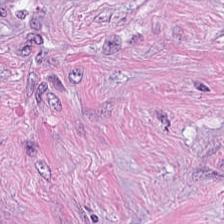224×224 px tile; hematoxylin-and-eosin stained section.
Predominantly tumor-associated stroma.
